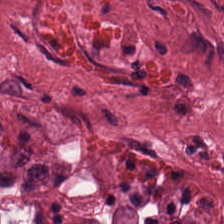H&E stain. Brightfield microscopy. The classification is tumor stroma.
